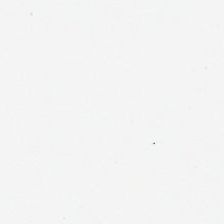Hematoxylin and eosin — Field content: background.
